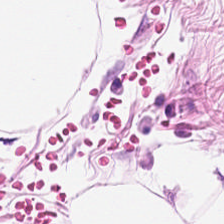Stain: hematoxylin and eosin.
Acquisition: brightfield.
Tissue type: adipose tissue.
